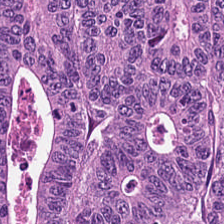Tissue class = colorectal adenocarcinoma.
